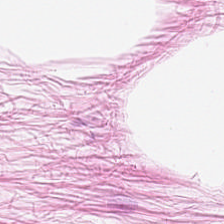224×224 px tile · hematoxylin-and-eosin stained section · 0.5 µm per pixel. Predominantly adipocytes.
